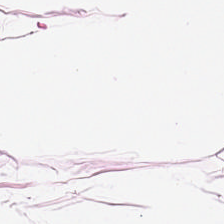Formalin-fixed paraffin-embedded section. Hematoxylin-and-eosin stained section.
Predominant tissue: adipose.
